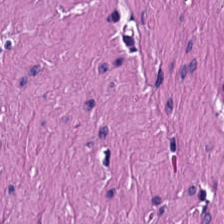H&E; brightfield microscopy. Tissue class — muscularis.
